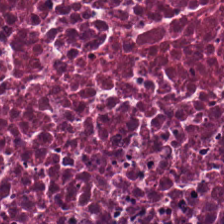Brightfield; H&E stain; 0.5 µm per pixel — Histology — cellular debris.
